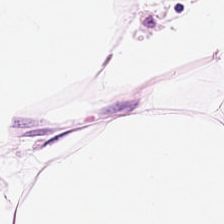Hematoxylin and eosin. Q: Identify the tissue.
A: Fat tissue.
